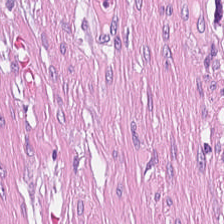H&E-stained tissue section.
The classification is desmoplastic stroma.
